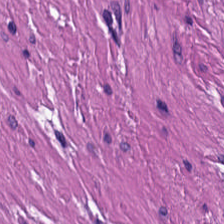H&E patch showing muscularis.
